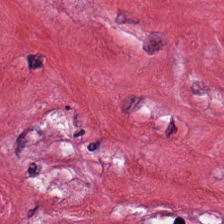Hematoxylin-and-eosin stained section.
Q: What does this patch show?
A: This is tumor-associated stroma.
